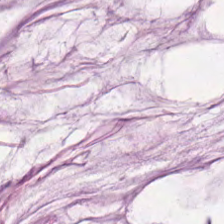Hematoxylin-and-eosin stained section. Brightfield microscopy. Formalin-fixed paraffin-embedded section — Classification = mucus.
